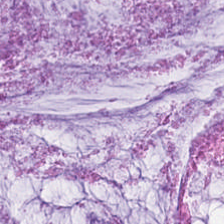224×224 px patch; H&E; 20× equivalent magnification. Mucus.
